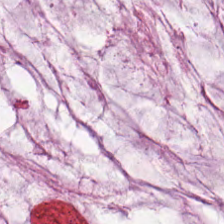Brightfield microscopy. FFPE. H&E.
Tissue = extracellular mucin.
